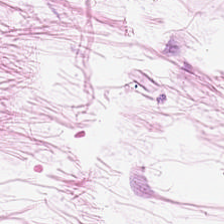The predominant tissue is adipocytes.
